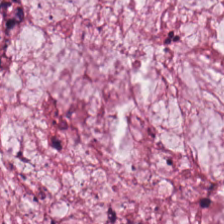H&E stain · FFPE tissue section.
Finding → extracellular mucin.
